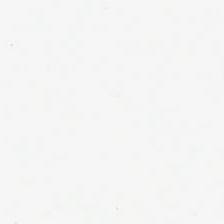WSI patch · hematoxylin-and-eosin stained section.
Classification — background (no tissue).
